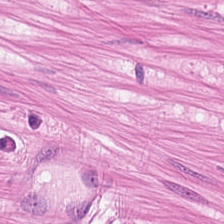Hematoxylin-and-eosin stained section.
Q: Classify this patch.
A: Muscularis.
